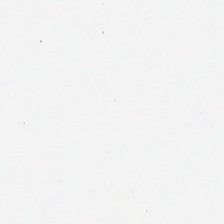H&E.
This field is background (no tissue).
